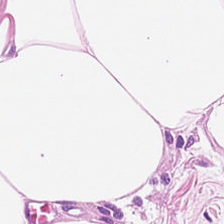H&E. Q: Identify the tissue.
A: Adipocytes.
